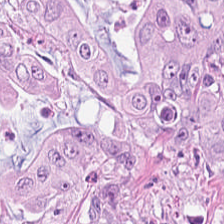Hematoxylin and eosin. Showing colorectal adenocarcinoma epithelium.
